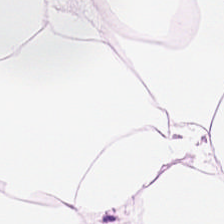20× equivalent magnification. Hematoxylin and eosin.
Adipocytes.
